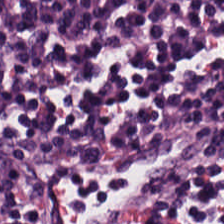H&E. 0.5 µm/px — The classification is lymphoid infiltrate.
